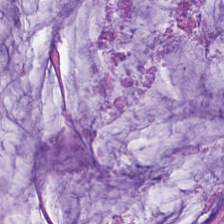FFPE tissue section · hematoxylin-and-eosin stained section · WSI patch.
Tissue class — mucin.
